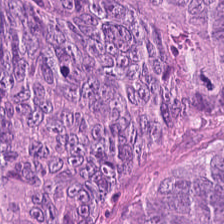224×224 px tile · H&E-stained tissue section · FFPE tissue section. This field is colorectal adenocarcinoma.
